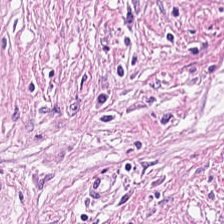Hematoxylin-and-eosin stained section — Showing tumor stroma.
